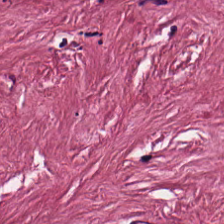Hematoxylin-and-eosin stained section. Q: Classify this patch.
A: The field shows tumor-associated stroma.
